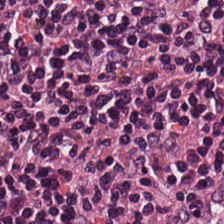Hematoxylin-and-eosin stained section. The tissue here is lymphocyte aggregate.
